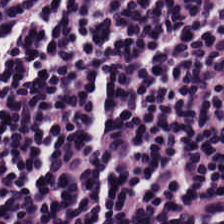Hematoxylin and eosin.
The tissue here is lymphocytes.
